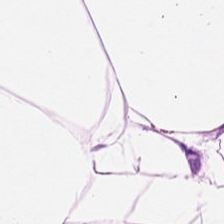H&E-stained tissue section · whole-slide-image patch · 0.5 µm per pixel — Tissue class: adipose tissue.
